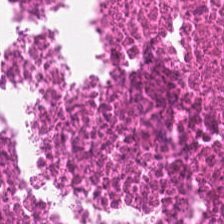H&E. 224×224 px tile. Tissue = debris.
